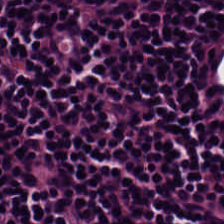H&E stain. Q: What does this patch show?
A: The field shows lymphocytes.
